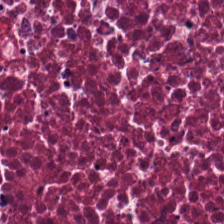H&E-stained tissue section — Classification = debris.
